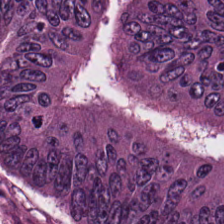WSI patch. 0.5 µm per pixel. H&E stain. Showing colorectal adenocarcinoma epithelium.
